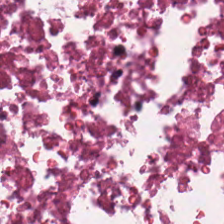H&E patch showing cellular debris.
